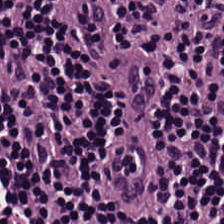H&E stain. The predominant tissue is lymphocytic infiltrate.
